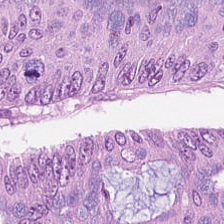Stain: H&E stain.
Resolution: 0.5 µm/px.
Acquisition: brightfield microscopy.
Tissue type: adenocarcinoma.
